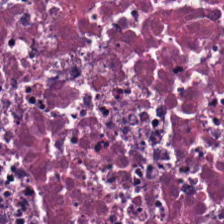Hematoxylin and eosin. Formalin-fixed paraffin-embedded section.
{"tissue_type": "cellular debris"}
